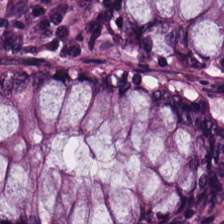224×224 px tile. Whole-slide-image patch. Hematoxylin and eosin.
Histology → benign colonic mucosa.
